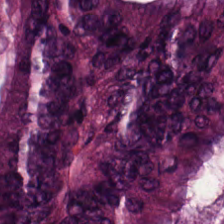H&E stain; 224×224 px tile; 0.5 microns per pixel.
The tissue here is malignant epithelium.
